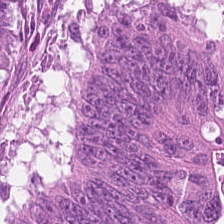Stain: hematoxylin and eosin.
Acquisition: brightfield microscopy.
Tile size: 224×224 px patch.
Tissue type: colorectal adenocarcinoma epithelium.
